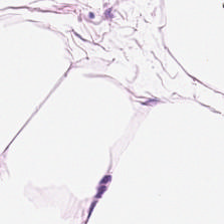H&E stain. Classification — fat tissue.
